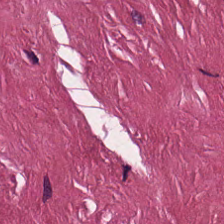Hematoxylin-and-eosin stained section.
The tissue here is cancer-associated stroma.
